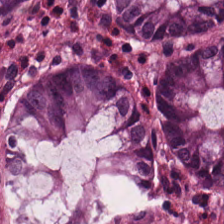H&E-stained tissue section — The predominant tissue is non-neoplastic colon mucosa.
